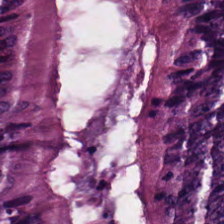The predominant tissue is colorectal adenocarcinoma.
